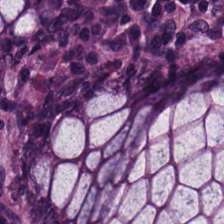Hematoxylin-and-eosin stained section.
Tissue type = benign colonic mucosa.
